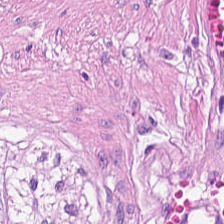Tissue class = muscularis.
